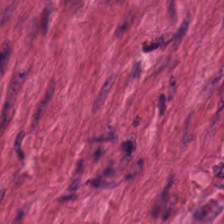Tissue class = smooth muscle.
